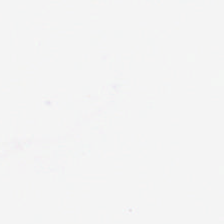224×224 px patch. H&E-stained tissue section — The content is background (no tissue).
